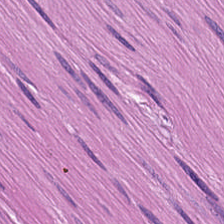FFPE tissue section; hematoxylin-and-eosin stained section — Muscularis.
